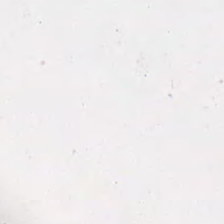Empty field — empty background.
